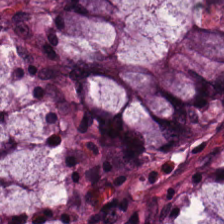Stain: H&E.
Tile size: 224×224 px tile.
Preparation: formalin-fixed paraffin-embedded section.
Tissue class: normal colon mucosa.
